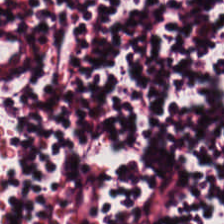H&E-stained tissue section — Q: What is shown in this field?
A: The field shows lymphocytes.
